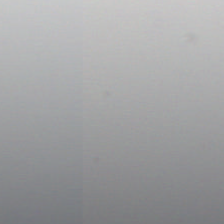Field content — background (no tissue).
